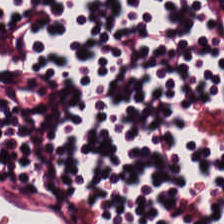H&E stain — Predominantly lymphocyte aggregate.
